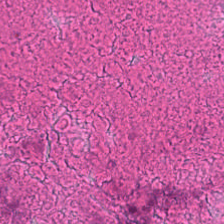H&E. FFPE tissue section.
Q: What is the predominant tissue type?
A: It is cellular debris.
